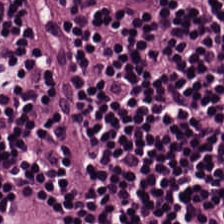0.5 microns per pixel · WSI patch · H&E. The tissue class is lymphocytes.
